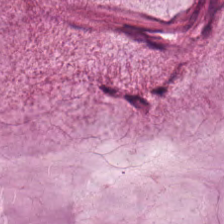H&E-stained section; the field shows extracellular mucin.
